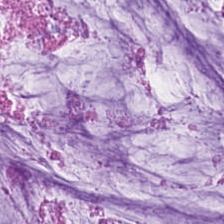Whole-slide-image patch. Hematoxylin-and-eosin stained section. 0.5 µm per pixel. Mucin.
